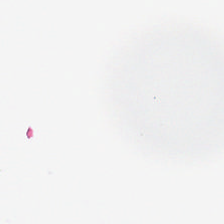Hematoxylin and eosin — Q: What is shown in this field?
A: It is background.
